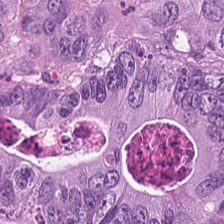Hematoxylin-and-eosin section: malignant epithelium.
